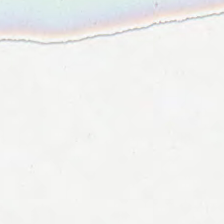Whole-slide-image patch; hematoxylin and eosin — This field is background (no tissue).
